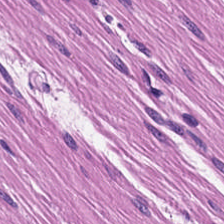Brightfield microscopy · 224×224 px tile · hematoxylin-and-eosin stained section. Showing smooth muscle.
